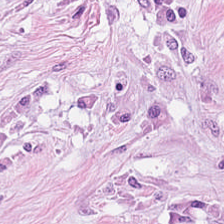{"tissue_type": "cancer-associated stroma"}
